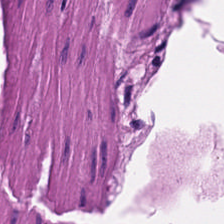H&E-stained section; the field shows smooth muscle.
